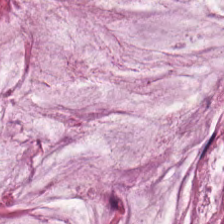Stain: H&E stain.
Acquisition: brightfield microscopy.
Resolution: 0.5 µm per pixel.
Predominant tissue: mucus.
